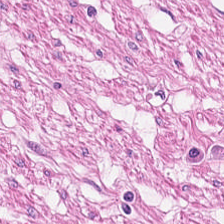H&E-stained tissue section; 0.5 µm per pixel. The predominant tissue is smooth muscle.
